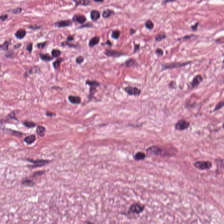Stain: H&E stain.
Preparation: FFPE tissue section.
Predominant tissue: desmoplastic stroma.
